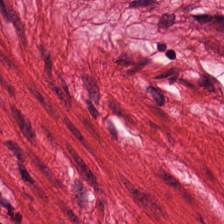Hematoxylin-and-eosin stained section — Predominantly smooth muscle.
